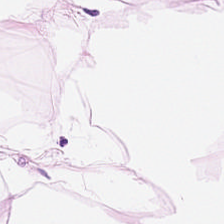H&E; brightfield. This patch shows adipose tissue.
